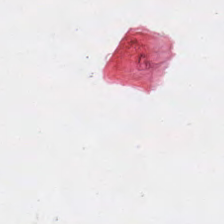0.5 microns per pixel. H&E. FFPE tissue section. Q: Classify this patch.
A: This is background (no tissue).
